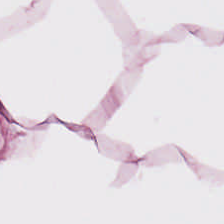0.5 µm/px · H&E stain — This field is fat tissue.
